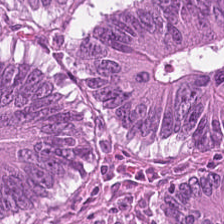0.5 microns per pixel · hematoxylin and eosin — The tissue type is adenocarcinoma.
